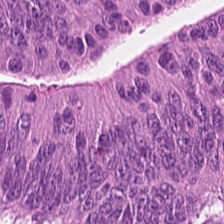Hematoxylin-and-eosin stained section. Whole-slide-image patch. 224×224 pixel tile.
The predominant tissue is adenocarcinoma.
